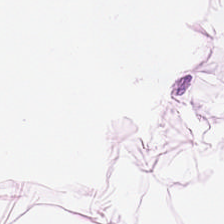Classification: adipose tissue.
